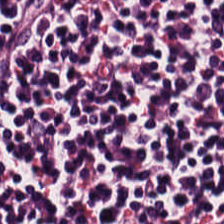Hematoxylin and eosin · FFPE tissue section · 224×224 px tile. The predominant tissue is lymphoid infiltrate.
